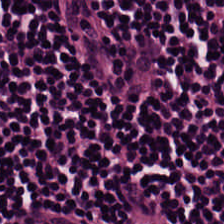FFPE tissue section. 0.5 microns per pixel. Hematoxylin and eosin. This patch shows lymphoid infiltrate.
